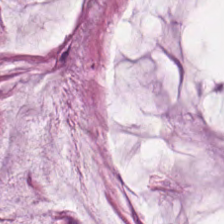Hematoxylin-and-eosin stained section. Q: What tissue is shown?
A: The field shows mucus.
